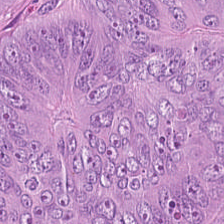H&E stain. Finding → malignant epithelium.
